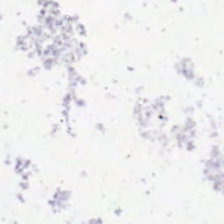H&E-stained tissue section — Q: What is shown here?
A: This is no tissue.
